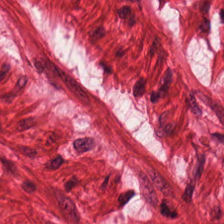Finding — smooth muscle.
